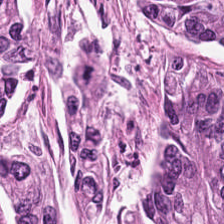0.5 µm per pixel; hematoxylin and eosin.
Tissue class: malignant epithelium.
